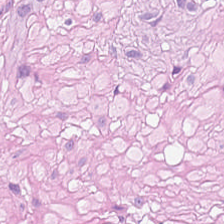FFPE. H&E — Tissue class — smooth muscle.
